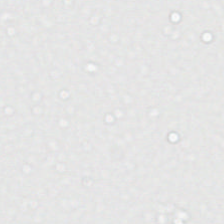Background (no tissue).
